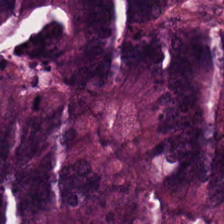Showing malignant epithelium.
